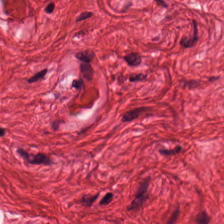Stain: H&E-stained tissue section.
Classification: muscularis.
